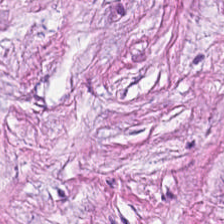H&E-stained section; the field shows tumor stroma.
